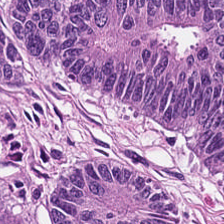224×224 pixel tile · H&E-stained tissue section.
Tissue class: malignant epithelium.
